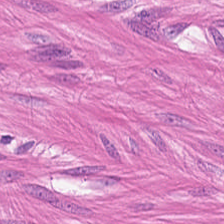Hematoxylin and eosin; 0.5 µm/px.
{"tissue_type": "smooth muscle"}
